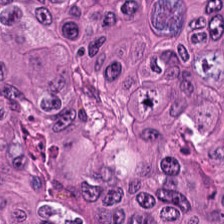0.5 µm per pixel. H&E stain — The tissue here is tumor epithelium.
